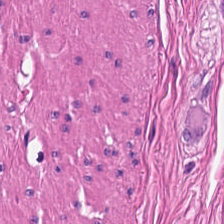H&E — Tissue type = smooth muscle.
